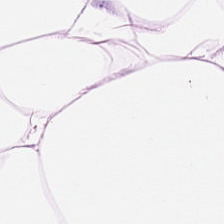Hematoxylin and eosin — Tissue: adipose.
